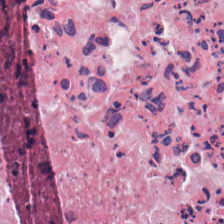Hematoxylin-and-eosin stained section. Classification — necrotic debris.
